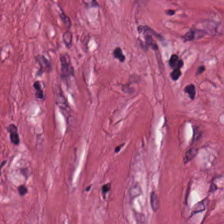This patch shows tumor-associated stroma.
